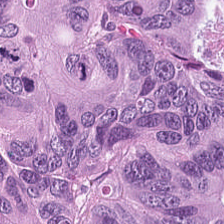Stain: H&E stain.
Acquisition: brightfield.
Resolution: 0.5 microns per pixel.
Predominant tissue: tumor epithelium.
